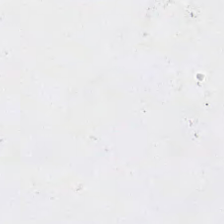Impression → background.
